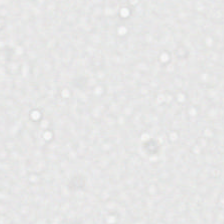Hematoxylin-and-eosin stained section. This patch shows empty background.
